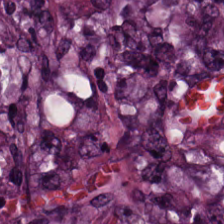20× equivalent magnification. H&E-stained tissue section — The predominant tissue is malignant epithelium.
